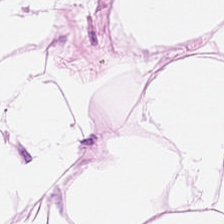FFPE tissue section · 0.5 microns per pixel · hematoxylin and eosin.
Predominantly fat tissue.
